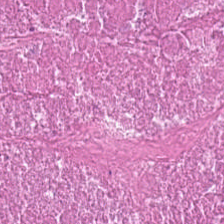H&E stain. This patch shows cellular debris.
